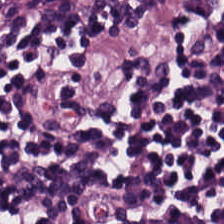0.5 µm/px · H&E · brightfield.
Lymphoid infiltrate.
